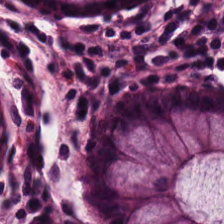Hematoxylin and eosin — This patch shows non-neoplastic colon mucosa.
